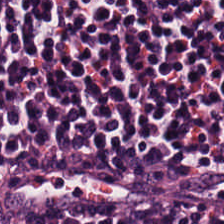H&E-stained tissue section.
Tissue = lymphocytes.
